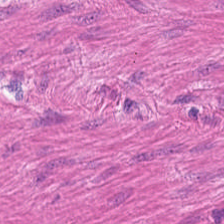H&E stain; 224×224 px patch; brightfield. The classification is smooth muscle.
